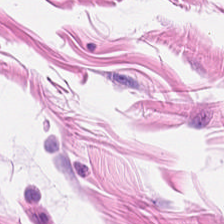H&E stain — Q: What does this patch show?
A: The field shows smooth-muscle tissue.
